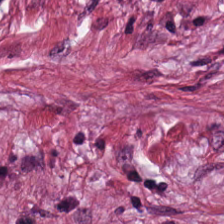Hematoxylin-and-eosin stained section — Showing cancer-associated stroma.
